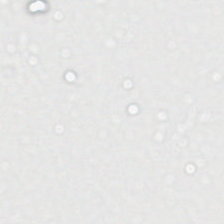Finding — background (no tissue).
